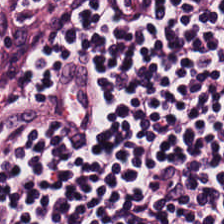H&E-stained tissue section — Histology — lymphocytic infiltrate.
